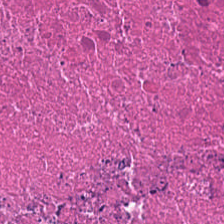0.5 µm/px. H&E-stained tissue section. Q: Identify the tissue.
A: It is cellular debris.
